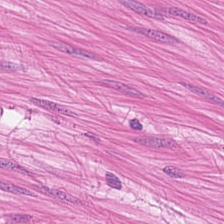H&E. Q: What tissue type is shown here?
A: Muscularis.
